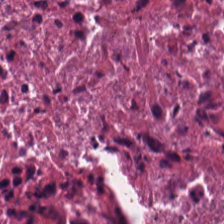Whole-slide-image patch; hematoxylin-and-eosin stained section — Q: What type of tissue is this?
A: Cellular debris.
